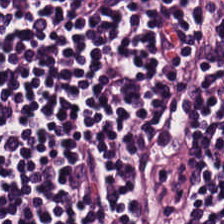H&E stain.
Q: What type of tissue is this?
A: It is lymphocyte aggregate.
